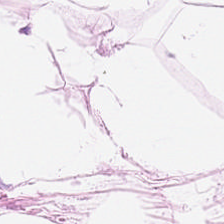{"tissue_type": "adipose"}
